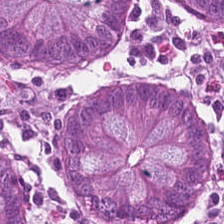Brightfield. H&E. 20× equivalent magnification.
Predominant tissue: normal colon mucosa.
